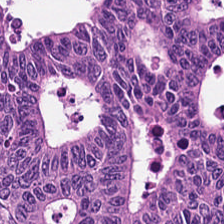Hematoxylin-and-eosin section: colorectal adenocarcinoma epithelium.
